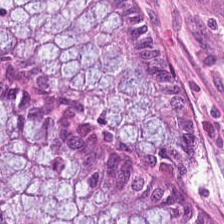H&E-stained tissue section.
Tissue class = benign colonic mucosa.
